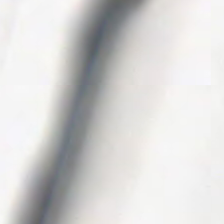Hematoxylin-and-eosin stained section — The classification is background.
